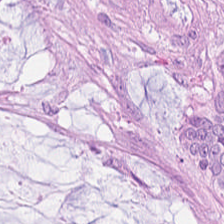H&E. {"tissue_type": "colorectal adenocarcinoma epithelium"}
